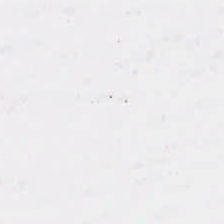H&E — Q: Classify this patch.
A: It is background (no tissue).
